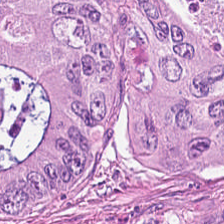Stain: hematoxylin and eosin.
Preparation: formalin-fixed paraffin-embedded section.
Classification: malignant epithelium.
